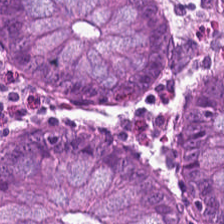H&E-stained tissue section.
Tissue class = non-neoplastic colon mucosa.
